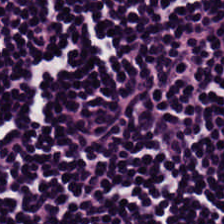H&E — This patch shows lymphocyte aggregate.
